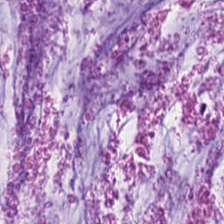This field is mucus.
